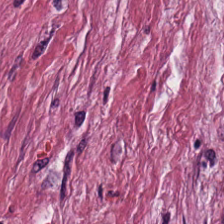Stain: H&E stain.
Classification: tumor stroma.
